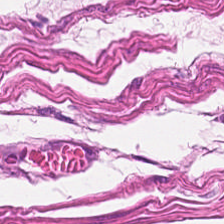Brightfield. 224×224 px tile. Hematoxylin and eosin.
Showing smooth-muscle tissue.
